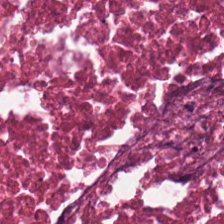Hematoxylin-and-eosin stained section · FFPE · 0.5 µm/px — Q: Identify the tissue.
A: The field shows cellular debris.
